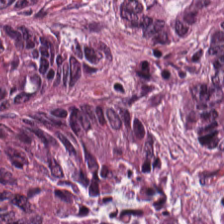H&E stain. 0.5 µm per pixel. This field is tumor epithelium.
